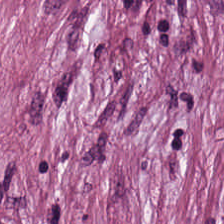Hematoxylin and eosin — Tumor stroma.
